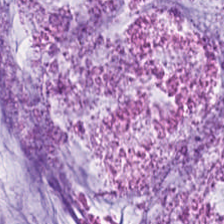Brightfield. H&E.
Mucin.
